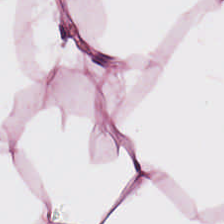H&E — adipose.
